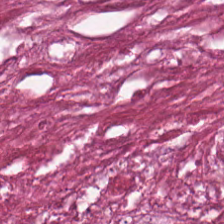H&E-stained tissue section — Q: What type of tissue is this?
A: This is necrotic debris.
